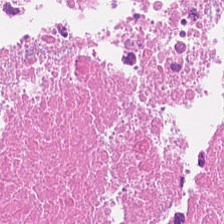H&E-stained tissue section — Classification — debris.
